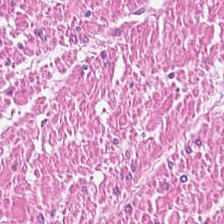Hematoxylin and eosin.
Smooth-muscle tissue.
